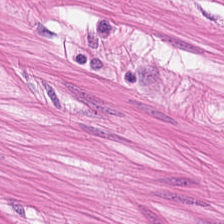H&E-stained tissue section · 224×224 px tile · 0.5 microns per pixel.
Predominantly smooth muscle.
